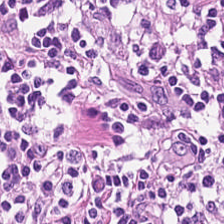Hematoxylin and eosin · 224×224 px tile.
Predominant tissue — lymphocytes.
